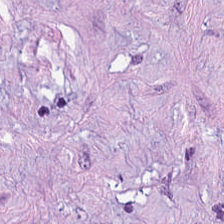Stain: H&E-stained tissue section.
Tile size: 224×224 px patch.
Preparation: FFPE tissue section.
Tissue class: tumor-associated stroma.
